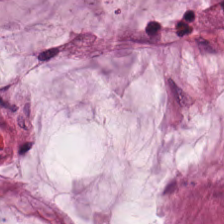H&E. 224×224 px patch. Predominantly extracellular mucin.
